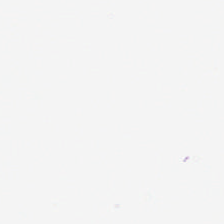Hematoxylin-and-eosin stained section; 224×224 px tile.
Field content: background.
